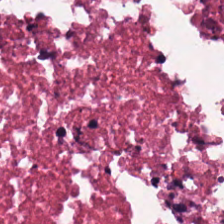Hematoxylin-and-eosin stained section; brightfield; 224×224 px tile.
{"tissue_type": "necrotic debris"}
